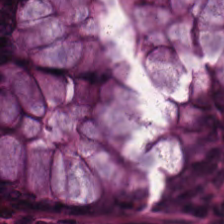H&E-stained tissue section.
The predominant tissue is normal colon mucosa.
